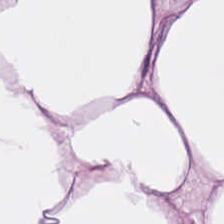H&E stain. The tissue here is adipocytes.
